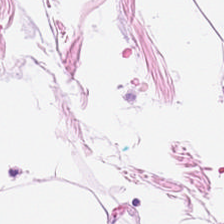0.5 microns per pixel. Hematoxylin and eosin — Predominant tissue: adipose tissue.
